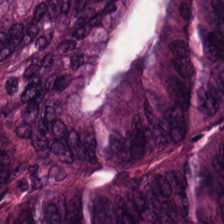Hematoxylin and eosin.
Q: What is shown in this field?
A: This is colorectal adenocarcinoma epithelium.
